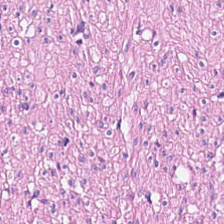Q: Identify the tissue.
A: The field shows smooth muscle.
